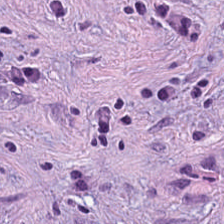Hematoxylin-and-eosin stained section — This patch shows desmoplastic stroma.
